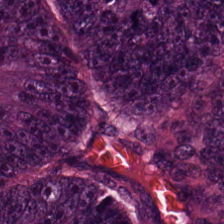20× equivalent magnification; hematoxylin and eosin — Colorectal adenocarcinoma epithelium.
